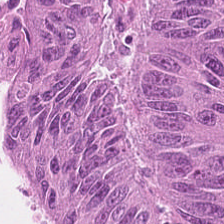Hematoxylin-and-eosin stained section — Q: What does this patch show?
A: The field shows malignant epithelium.
